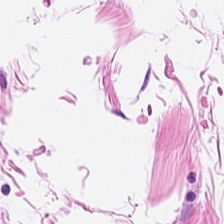224×224 px patch. H&E-stained tissue section. The predominant tissue is adipose.
